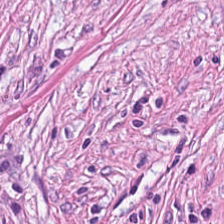Hematoxylin-and-eosin stained section. 0.5 microns per pixel. Whole-slide-image patch.
This patch shows tumor stroma.
